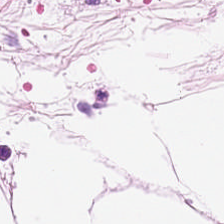This field is fat tissue.
